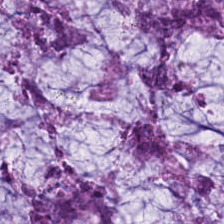224×224 px patch. H&E. FFPE tissue section — This patch shows mucus.
